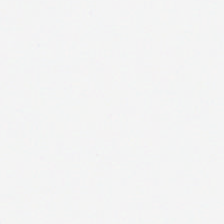Brightfield microscopy. H&E-stained tissue section.
Q: Classify this patch.
A: The field shows empty background.
